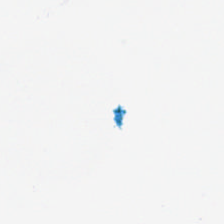H&E stain — Q: Classify this patch.
A: The field shows background (no tissue).
